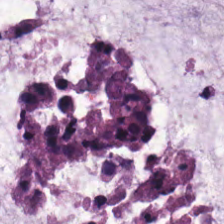Brightfield · FFPE tissue section · hematoxylin and eosin.
Tissue — mucus.
